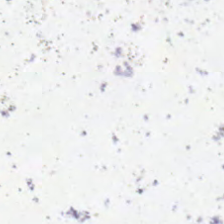H&E stain. Field content = background.
